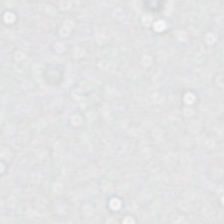Q: What does this patch show?
A: The field shows background (no tissue).
